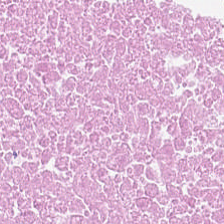FFPE tissue section. Brightfield. Hematoxylin and eosin. The predominant tissue is cellular debris.
